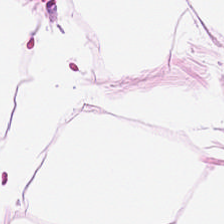H&E-stained tissue section. Q: What is shown in this field?
A: Adipocytes.
